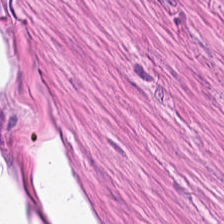Hematoxylin and eosin.
Predominantly smooth muscle.
